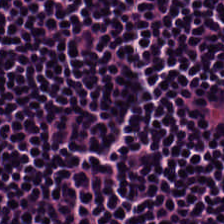Hematoxylin and eosin — Tissue: lymphocytic infiltrate.
